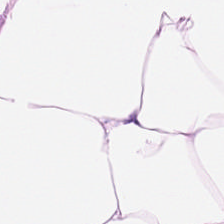H&E-stained tissue section. This field is adipocytes.
